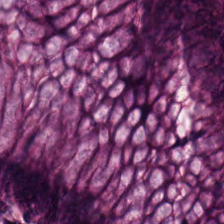WSI patch · hematoxylin and eosin — Finding → normal colon mucosa.
